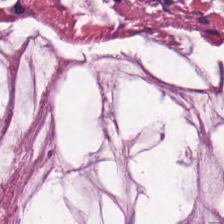Stain: H&E-stained tissue section.
Tissue type: mucin.
